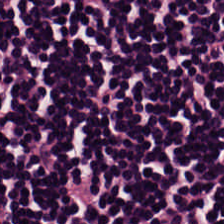224×224 px patch · hematoxylin and eosin. Lymphocytic infiltrate.
